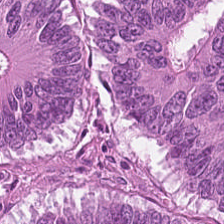Hematoxylin-and-eosin stained section; 224×224 pixel tile.
Tissue type: colorectal adenocarcinoma epithelium.
